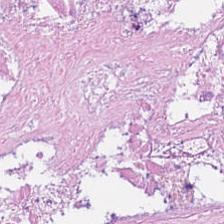H&E. Predominantly debris.
